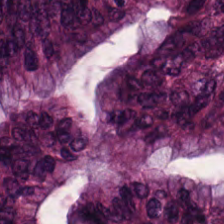Hematoxylin and eosin. Formalin-fixed paraffin-embedded section. 20× equivalent magnification — The tissue is adenocarcinoma.
